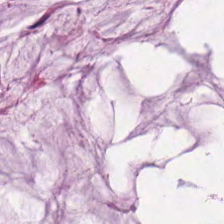Hematoxylin and eosin — Predominant tissue = mucus.
